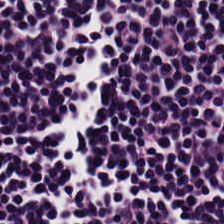Formalin-fixed paraffin-embedded section; H&E.
Q: What tissue is shown?
A: This is lymphoid infiltrate.
